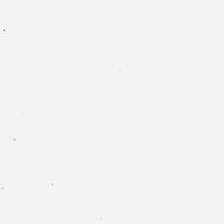H&E — The classification is background.
